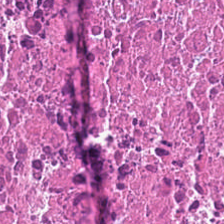H&E — This patch shows cellular debris.
